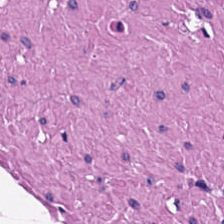Stain: hematoxylin and eosin.
Tissue: smooth-muscle tissue.
